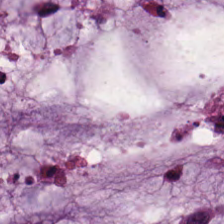Histology — mucin.
